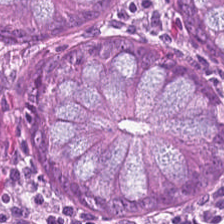H&E; 224×224 pixel tile — Tissue type — benign colonic mucosa.
